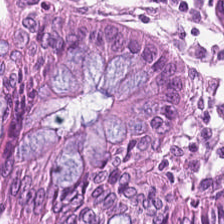Showing normal colonic mucosa.
